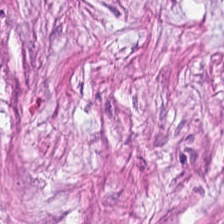224×224 px patch. 0.5 microns per pixel. Hematoxylin and eosin. Q: What is the predominant tissue type?
A: It is tumor-associated stroma.
